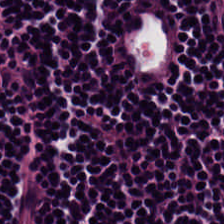H&E-stained tissue section — Tissue: lymphocytes.
